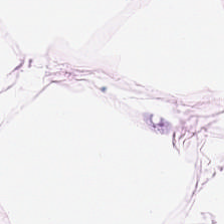Hematoxylin-and-eosin stained section — Fat tissue.
